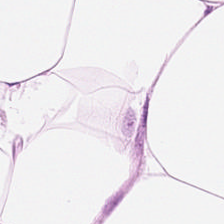WSI patch · 0.5 µm/px · H&E stain — Finding — adipose tissue.
